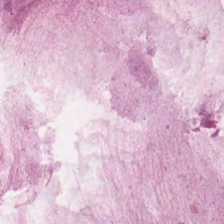224×224 px tile. Hematoxylin-and-eosin stained section. Brightfield microscopy.
Classification = extracellular mucin.
